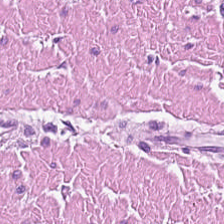Hematoxylin and eosin — Q: What tissue is shown?
A: Smooth muscle.
